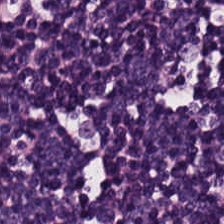Q: What does this patch show?
A: Lymphocytes.
